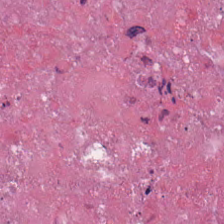The tissue is debris.
